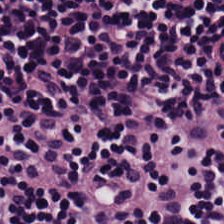H&E — This patch shows lymphocytes.
